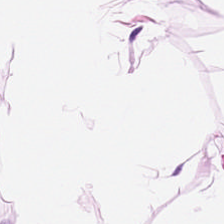Classification = fat tissue.
